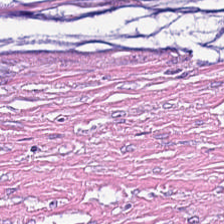Brightfield · H&E stain. Histology — tumor stroma.
